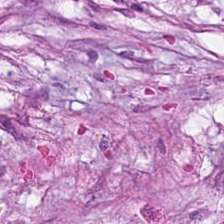H&E stain. Brightfield. Q: What type of tissue is this?
A: This is desmoplastic stroma.
